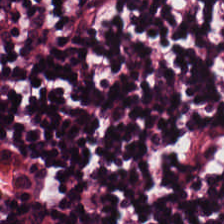Hematoxylin and eosin. Lymphocytic infiltrate.
